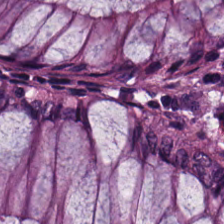H&E-stained tissue section.
Predominant tissue = non-neoplastic colon mucosa.
